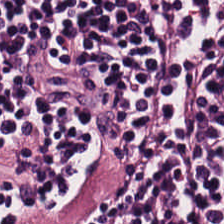Hematoxylin and eosin. Classification: lymphocyte aggregate.
